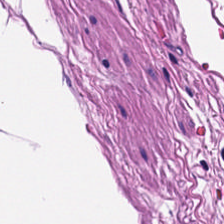H&E · brightfield · formalin-fixed paraffin-embedded section — Predominantly smooth muscle.
